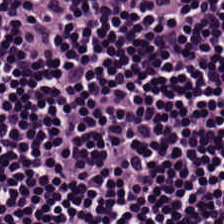H&E. {"tissue_type": "lymphoid infiltrate"}
